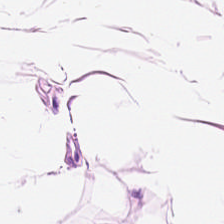Hematoxylin-and-eosin stained section.
Tissue — adipose.
